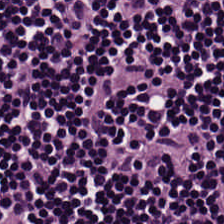Stain: H&E stain.
Predominant tissue: lymphocytic infiltrate.
